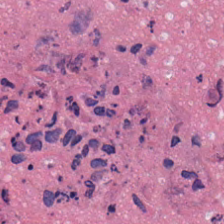H&E stain.
Histology → debris.
